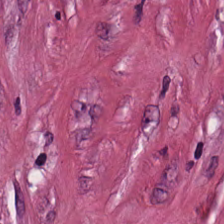Hematoxylin and eosin. The predominant tissue is desmoplastic stroma.
